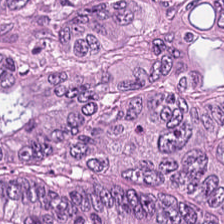This field is adenocarcinoma.
